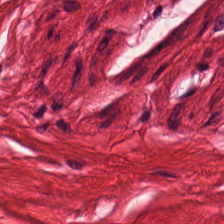{"tissue_type": "muscularis"}
